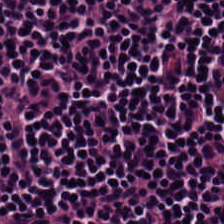Hematoxylin-and-eosin stained section.
The predominant tissue is lymphocyte aggregate.
